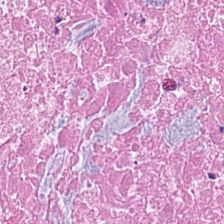H&E stain.
Q: Classify this patch.
A: Necrotic debris.
